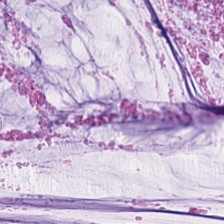Hematoxylin and eosin — The predominant tissue is mucin.
